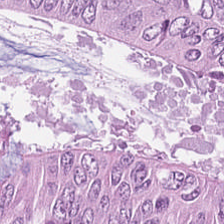Histology — colorectal adenocarcinoma.
